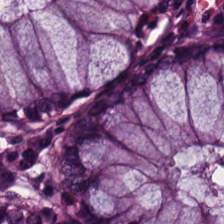Hematoxylin and eosin; 0.5 µm per pixel; 224×224 px tile. This patch shows normal colonic mucosa.
